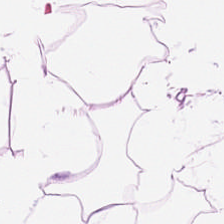Hematoxylin-and-eosin stained section. 224×224 px patch. Predominant tissue — adipose.
